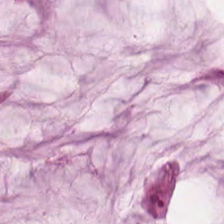H&E. FFPE tissue section. Impression → mucin.
